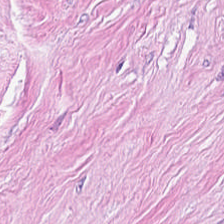H&E · 224×224 pixel tile · FFPE — Q: What is the predominant tissue type?
A: The field shows desmoplastic stroma.
